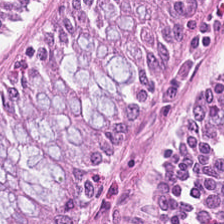224×224 px patch. Hematoxylin and eosin. This patch shows non-neoplastic colon mucosa.
